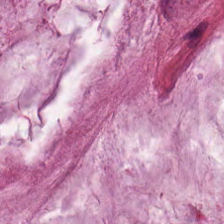Stain: H&E.
Preparation: formalin-fixed paraffin-embedded section.
Tissue class: extracellular mucin.
